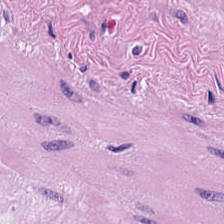Hematoxylin and eosin; 0.5 µm per pixel; 224×224 px patch.
Tissue class: smooth muscle.
